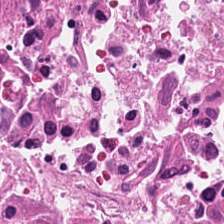H&E. Cellular debris.
